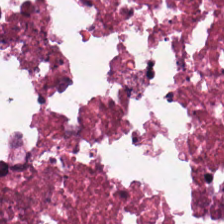H&E stain. FFPE tissue section. {"tissue_type": "debris"}
